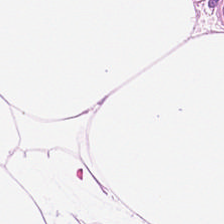Histology — fat tissue.
